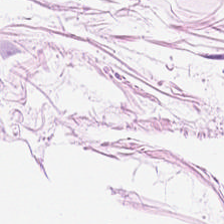Hematoxylin-and-eosin stained section — Q: What is the predominant tissue type?
A: It is adipocytes.
